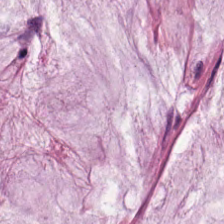Hematoxylin and eosin. Predominantly extracellular mucin.
